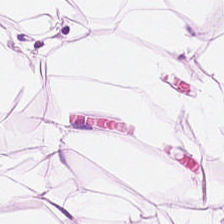Brightfield microscopy; H&E; 224×224 px tile. The classification is adipose.
